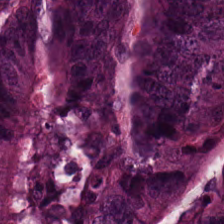Hematoxylin-and-eosin stained section. Predominant tissue = colorectal adenocarcinoma epithelium.
